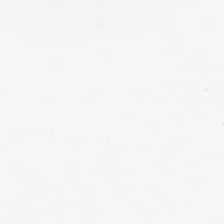Hematoxylin and eosin; 224×224 px tile.
Q: Classify this patch.
A: This is background (no tissue).
